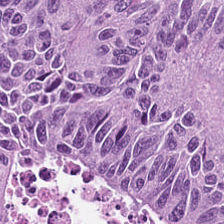H&E stain. Impression — adenocarcinoma.
